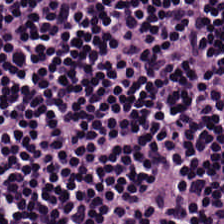Stain: H&E stain.
Acquisition: WSI patch.
Tissue class: lymphocyte aggregate.
